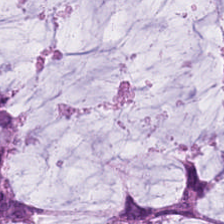H&E — Predominantly mucus.
